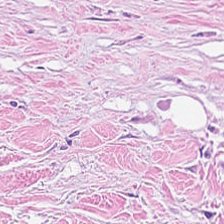H&E-stained tissue section.
Impression → tumor-associated stroma.
